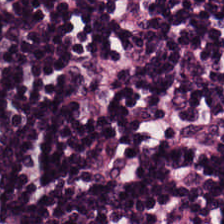H&E — Histology → lymphocyte aggregate.
